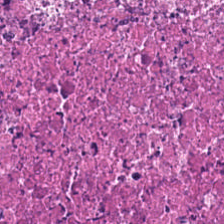Hematoxylin and eosin · 0.5 microns per pixel — Debris.
